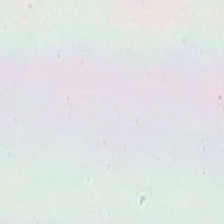H&E-stained tissue section — This field is background (no tissue).
